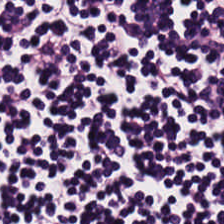Hematoxylin and eosin — Lymphocyte aggregate.
